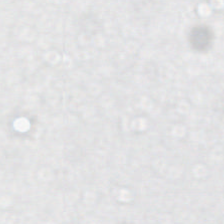0.5 µm/px; H&E-stained tissue section; whole-slide-image patch.
Classification: no tissue.
